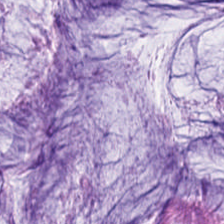H&E — The tissue here is mucus.
